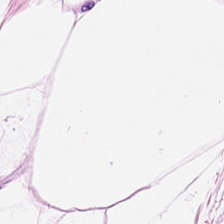Hematoxylin-and-eosin stained section. Adipose.
